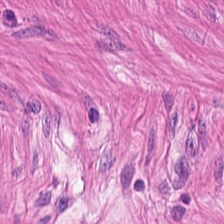H&E. {"tissue_type": "smooth-muscle tissue"}
